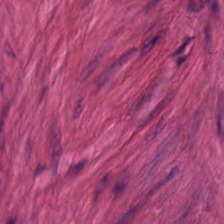Stain: H&E.
Predominant tissue: smooth-muscle tissue.
